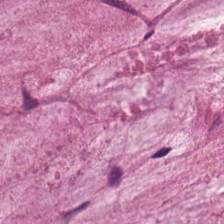H&E stain. Brightfield. Classification — extracellular mucin.
